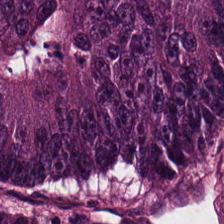{"tissue_type": "adenocarcinoma"}
